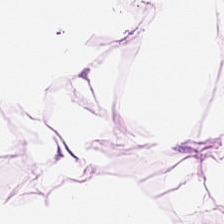H&E-stained tissue section · whole-slide-image patch — Impression → adipocytes.
